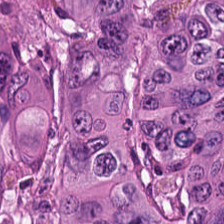H&E-stained tissue section; 0.5 microns per pixel.
The tissue here is malignant epithelium.
